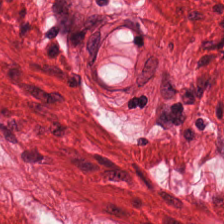Stain: hematoxylin and eosin.
Resolution: 20× equivalent magnification.
Classification: smooth muscle.
